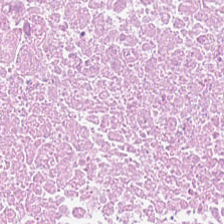H&E stain · whole-slide-image patch · FFPE. Histology — necrotic debris.
